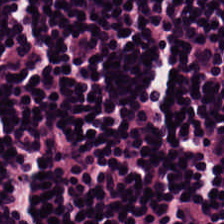H&E. Predominantly lymphocyte aggregate.
